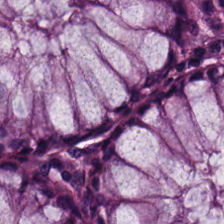H&E-stained tissue section.
Classification = non-neoplastic colon mucosa.
